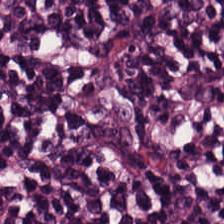H&E.
Tissue type — lymphocyte aggregate.
